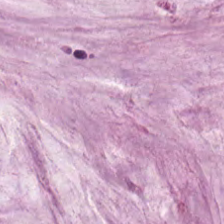Hematoxylin and eosin — Finding → extracellular mucin.
